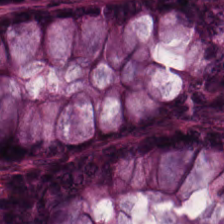Hematoxylin-and-eosin stained section — Classification — benign colonic mucosa.
